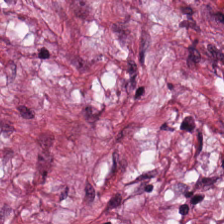Stain: hematoxylin and eosin.
Resolution: 0.5 microns per pixel.
Acquisition: brightfield microscopy.
Tissue class: cancer-associated stroma.
